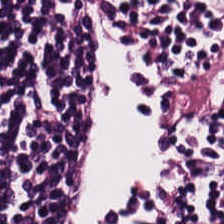H&E-stained tissue section · FFPE.
Histology — lymphocyte aggregate.
